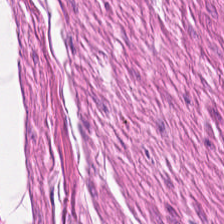Hematoxylin and eosin — Predominant tissue — smooth-muscle tissue.
